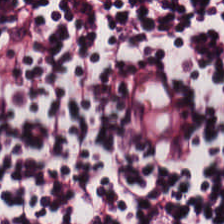WSI patch · hematoxylin-and-eosin stained section · 224×224 px tile — Histology → lymphocyte aggregate.
